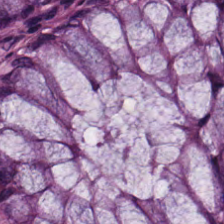H&E-stained tissue section — This patch shows benign colonic mucosa.
